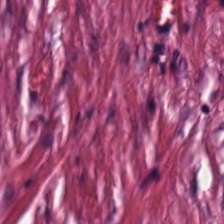H&E stain.
Q: What is shown in this field?
A: The field shows desmoplastic stroma.
